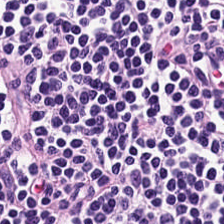Q: Identify the tissue.
A: The field shows lymphocytic infiltrate.
